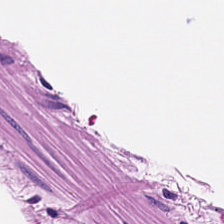20× equivalent magnification · 224×224 px tile · hematoxylin and eosin — Predominant tissue = smooth-muscle tissue.
